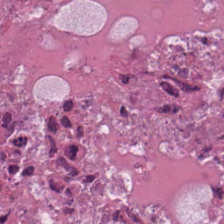Q: What is the predominant tissue type?
A: This is cellular debris.
